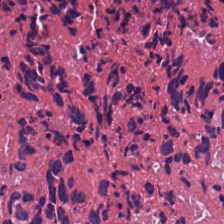Formalin-fixed paraffin-embedded section · hematoxylin-and-eosin stained section · 224×224 px tile — Q: What type of tissue is this?
A: This is debris.
